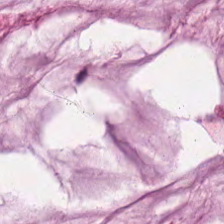H&E stain. This field is mucus.
